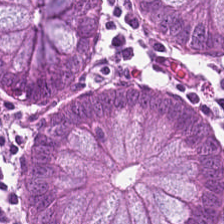H&E-stained tissue section; FFPE; 0.5 µm per pixel — The tissue here is normal colon mucosa.
